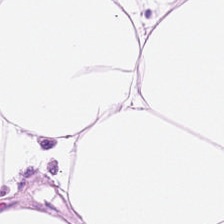H&E.
{"tissue_type": "adipocytes"}
